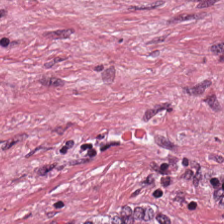This patch shows cancer-associated stroma.
